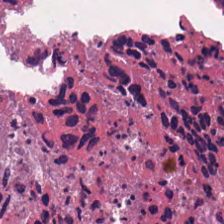H&E-stained tissue section — The classification is cellular debris.
